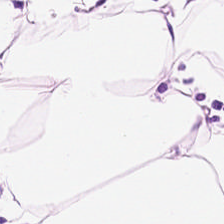Stain: hematoxylin and eosin.
Preparation: FFPE tissue section.
Tile size: 224×224 px patch.
Tissue: fat tissue.
